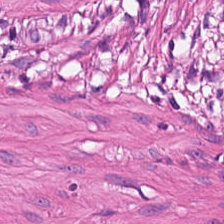The predominant tissue is muscularis.
